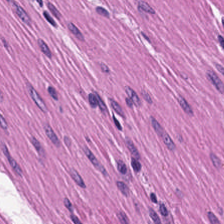224×224 pixel tile; H&E.
Q: What type of tissue is this?
A: Muscularis.
